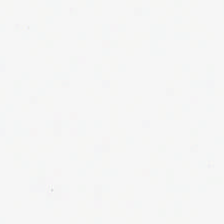H&E-stained tissue section · 224×224 px patch. {"content": "background"}
